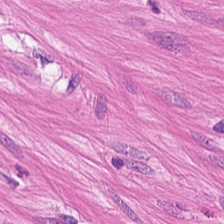{"tissue_type": "smooth-muscle tissue"}
